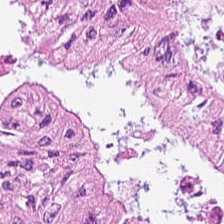Hematoxylin and eosin · 224×224 px tile — This field is tumor epithelium.
